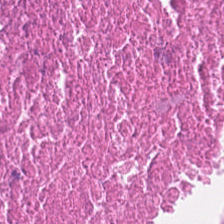224×224 px tile · H&E-stained tissue section · 0.5 µm/px. {"tissue_type": "necrotic debris"}
